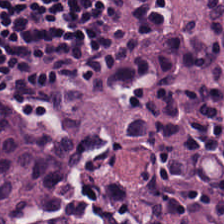H&E stain; 0.5 microns per pixel.
Predominantly lymphocytic infiltrate.
